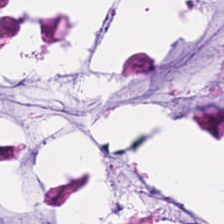H&E-stained tissue section. 224×224 px tile. 0.5 µm per pixel.
Predominantly colorectal adenocarcinoma epithelium.
